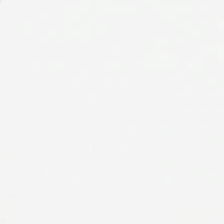Hematoxylin-and-eosin stained section — Q: Classify this patch.
A: It is background (no tissue).
